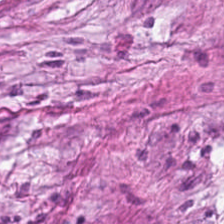Hematoxylin-and-eosin stained section. Predominantly desmoplastic stroma.
